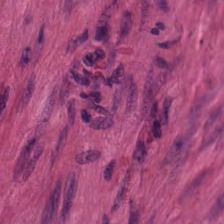Formalin-fixed paraffin-embedded section; 0.5 µm per pixel; H&E — Q: What tissue is shown?
A: The field shows smooth-muscle tissue.
